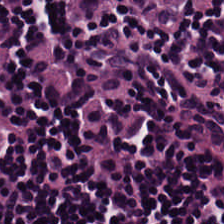0.5 µm/px. H&E stain. {"tissue_type": "lymphocyte aggregate"}
